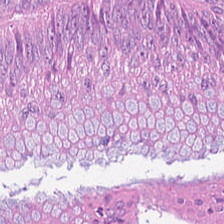H&E-stained tissue section. {"tissue_type": "tumor epithelium"}
